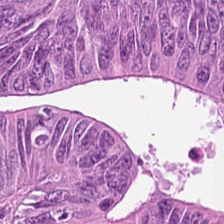20× equivalent magnification. Brightfield. H&E-stained tissue section. Showing tumor epithelium.
